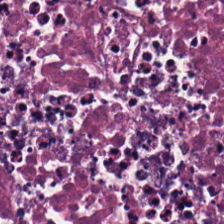Hematoxylin and eosin.
Q: What does this patch show?
A: The field shows necrotic debris.
